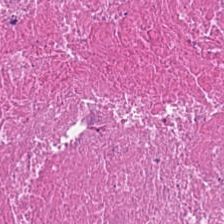H&E; 0.5 µm/px.
The tissue type is debris.
